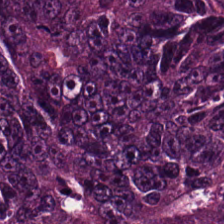Hematoxylin-and-eosin stained section. Colorectal adenocarcinoma.
